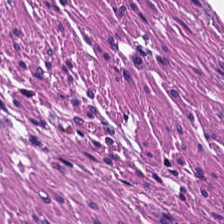Showing smooth muscle.
